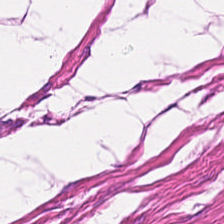0.5 µm per pixel. H&E — The predominant tissue is smooth muscle.
